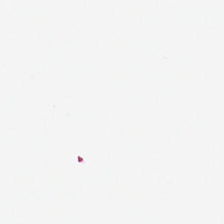Stain: hematoxylin-and-eosin stained section.
Tile size: 224×224 px patch.
Acquisition: WSI patch.
Field content: empty background.
